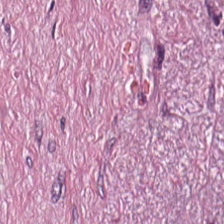H&E-stained tissue section — {"tissue_type": "tumor stroma"}
